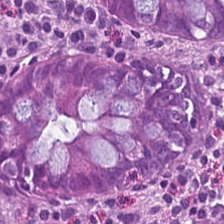Q: What does this patch show?
A: The field shows normal colon mucosa.
